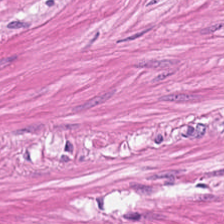H&E — Impression → smooth-muscle tissue.
